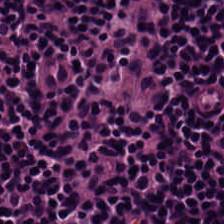Hematoxylin-and-eosin stained section — This patch shows lymphocytes.
